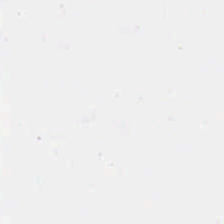H&E. 0.5 microns per pixel — Empty background.
